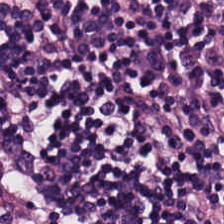Histology — lymphoid infiltrate.
